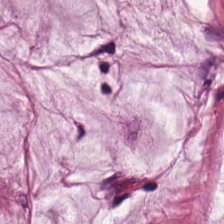H&E-stained tissue section.
The predominant tissue is mucin.
